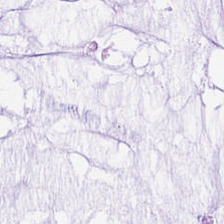Hematoxylin and eosin. FFPE. 20× equivalent magnification — Showing extracellular mucin.
